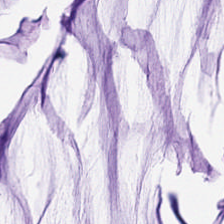Hematoxylin-and-eosin stained section; 0.5 microns per pixel; 224×224 px patch. Tissue type: extracellular mucin.
